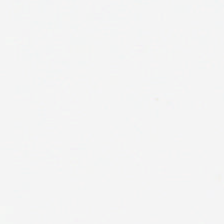0.5 microns per pixel · H&E — Field content = background (no tissue).
